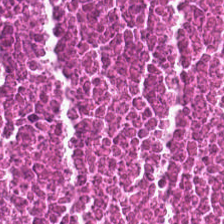H&E-stained tissue section; 0.5 µm/px — Impression → debris.
